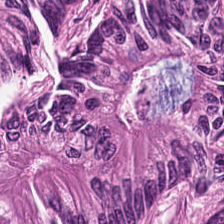Hematoxylin and eosin.
Q: What is shown in this field?
A: This is malignant epithelium.
